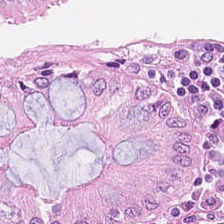H&E-stained tissue section. 224×224 px patch.
Q: What is the predominant tissue type?
A: It is non-neoplastic colon mucosa.
